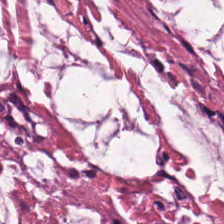Hematoxylin and eosin.
This field is mucus.
